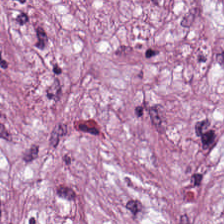The tissue here is tumor stroma.
